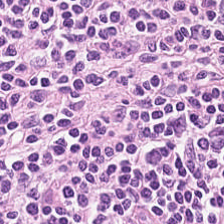Hematoxylin-and-eosin stained section · FFPE — This field is lymphoid infiltrate.
